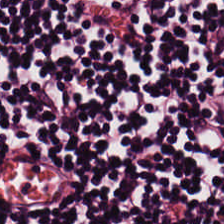Hematoxylin-and-eosin stained section. The tissue is lymphocyte aggregate.
